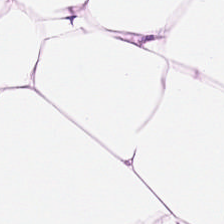H&E stain — Tissue: adipose.
